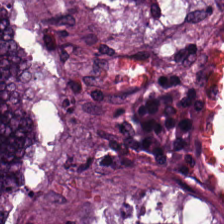H&E stain.
Predominant tissue = malignant epithelium.
